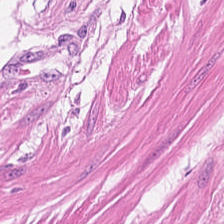224×224 pixel tile. H&E. 20× equivalent magnification. Showing smooth muscle.
